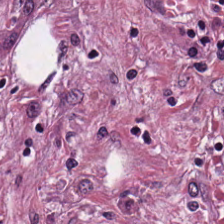Tissue = desmoplastic stroma.
